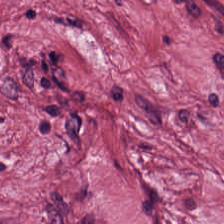224×224 px tile; H&E stain.
The tissue here is desmoplastic stroma.
